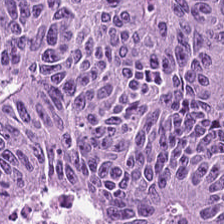H&E-stained tissue section.
Tissue class = tumor epithelium.
